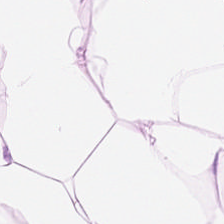224×224 px tile · H&E stain.
The tissue here is adipose.
